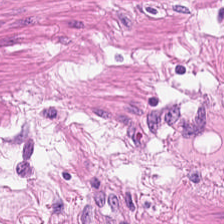The tissue here is muscularis.
